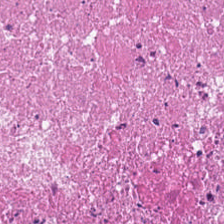This field is necrotic debris.
